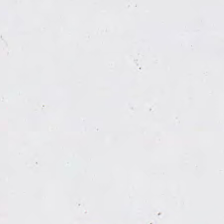Q: What is shown here?
A: It is no tissue.
